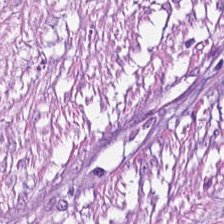H&E stain. Brightfield. 20× equivalent magnification. Tissue: tumor-associated stroma.
